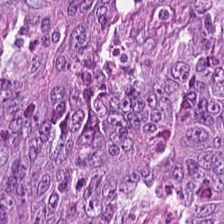Hematoxylin and eosin — Q: Classify this patch.
A: Adenocarcinoma.
